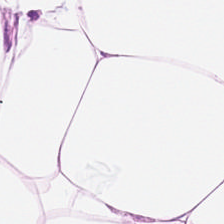Hematoxylin and eosin.
This field is adipose tissue.
